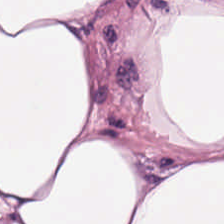Showing adipose tissue.
